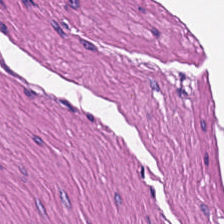Brightfield microscopy; H&E stain; 224×224 pixel tile. Q: What type of tissue is this?
A: It is muscularis.
